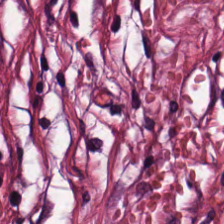FFPE; hematoxylin-and-eosin stained section; 224×224 px tile. Tissue type: tumor-associated stroma.
